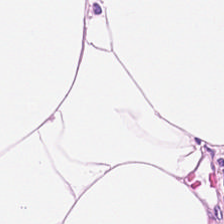The tissue class is adipose tissue.
